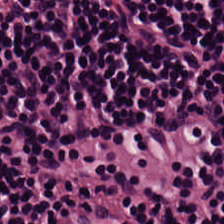Stain: H&E-stained tissue section.
Classification: lymphocytic infiltrate.
